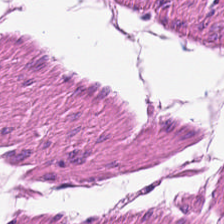H&E stain — Predominantly muscularis.
